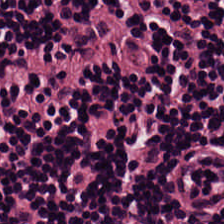Stain: hematoxylin-and-eosin stained section.
Tissue class: lymphocyte aggregate.
